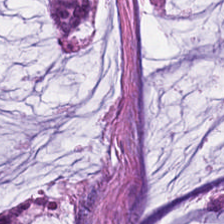Classification — mucin.
